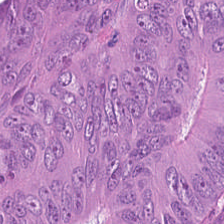H&E stain — Tumor epithelium.
